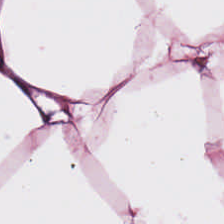Formalin-fixed paraffin-embedded section; H&E-stained tissue section; 224×224 pixel tile. This patch shows adipocytes.
